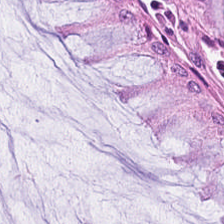Hematoxylin-and-eosin stained section; brightfield. Histology → normal colonic mucosa.
